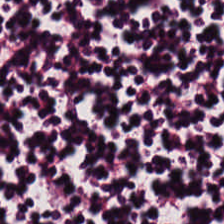H&E-stained tissue section. FFPE. Showing lymphoid infiltrate.
